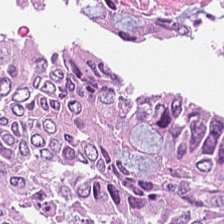Tissue class: colorectal adenocarcinoma.
